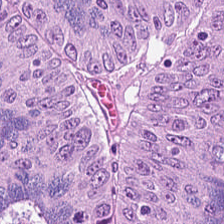H&E — Colorectal adenocarcinoma epithelium.
